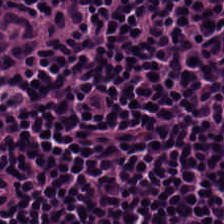Hematoxylin and eosin · 224×224 px patch — Lymphocyte aggregate.
